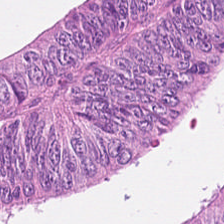20× equivalent magnification; formalin-fixed paraffin-embedded section; H&E stain.
This patch shows tumor epithelium.
